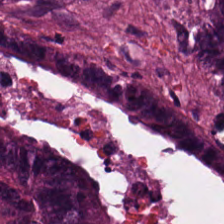224×224 pixel tile; H&E — Colorectal adenocarcinoma epithelium.
